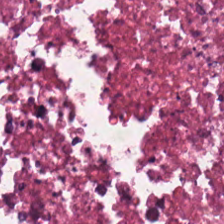224×224 px tile · 0.5 µm per pixel · H&E stain. Tissue type = debris.
